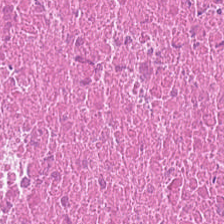H&E — cellular debris.
